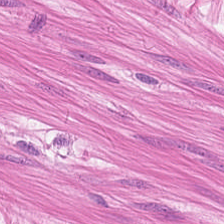Formalin-fixed paraffin-embedded section; 224×224 px patch; hematoxylin and eosin.
Classification: smooth muscle.
